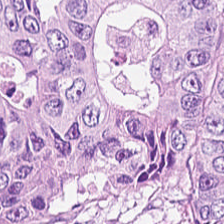H&E-stained tissue section. WSI patch.
Q: What tissue type is shown here?
A: This is malignant epithelium.
